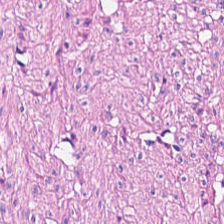Stain: H&E-stained tissue section.
Predominant tissue: smooth muscle.
